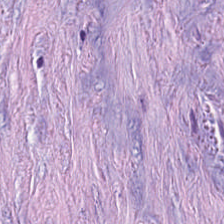H&E stain — Predominant tissue = cancer-associated stroma.
